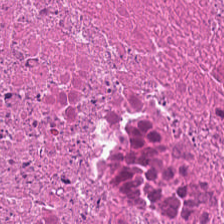0.5 µm per pixel; hematoxylin and eosin; 224×224 px tile.
Tissue: cellular debris.
